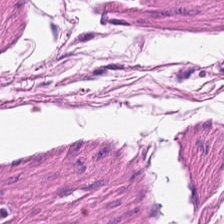Hematoxylin and eosin.
This field is muscularis.
